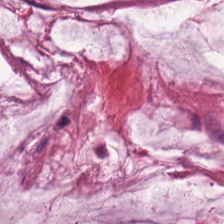Stain: hematoxylin-and-eosin stained section.
Tissue type: mucus.
